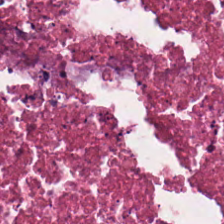Brightfield · H&E — Histology — debris.
